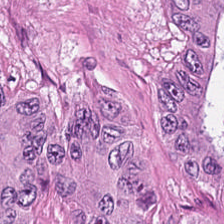224×224 px tile; 20× equivalent magnification; H&E-stained tissue section.
The tissue here is colorectal adenocarcinoma.
